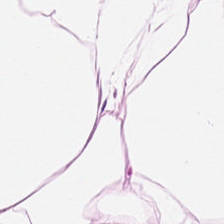H&E; whole-slide-image patch. The tissue here is adipose.
